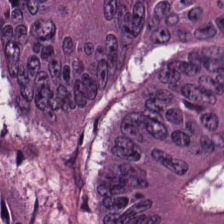Whole-slide-image patch. H&E stain. Showing malignant epithelium.
